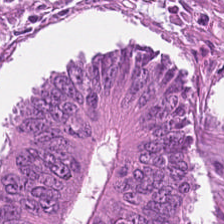20× equivalent magnification · FFPE · H&E-stained tissue section.
Q: What is shown here?
A: It is colorectal adenocarcinoma epithelium.
